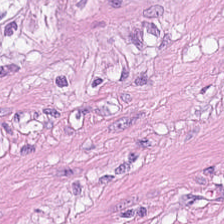Stain: H&E stain.
Tile size: 224×224 pixel tile.
Predominant tissue: smooth-muscle tissue.
